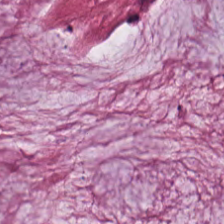Hematoxylin-and-eosin stained section. Q: Classify this patch.
A: Mucin.
